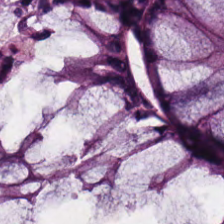FFPE; hematoxylin-and-eosin stained section — {"tissue_type": "non-neoplastic colon mucosa"}
